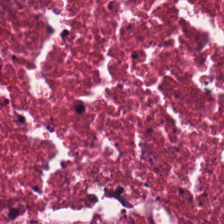Hematoxylin and eosin. Predominantly necrotic debris.
